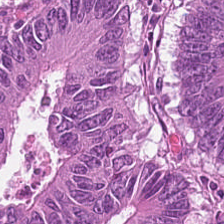Hematoxylin and eosin · brightfield microscopy · FFPE — Q: What is the predominant tissue type?
A: The field shows malignant epithelium.
